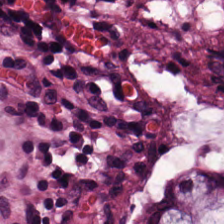Q: What type of tissue is this?
A: This is non-neoplastic colon mucosa.
